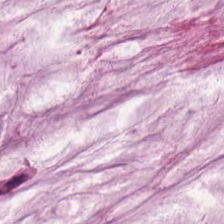Hematoxylin and eosin; 224×224 px patch; whole-slide-image patch.
Predominantly mucus.
